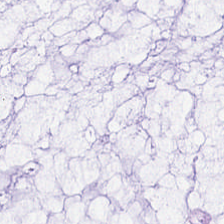H&E — Showing mucus.
